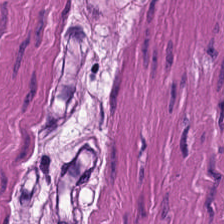Hematoxylin-and-eosin stained section.
This field is smooth-muscle tissue.
